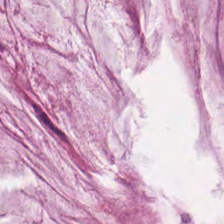H&E-stained tissue section — Tissue = mucin.
